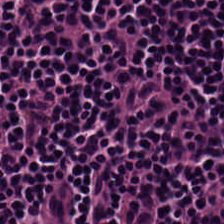H&E-stained tissue section — Q: What type of tissue is this?
A: The field shows lymphoid infiltrate.
